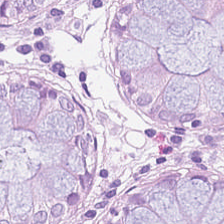The predominant tissue is non-neoplastic colon mucosa.
